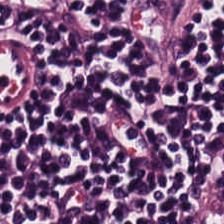224×224 px tile. Hematoxylin-and-eosin stained section. The tissue type is lymphocyte aggregate.
